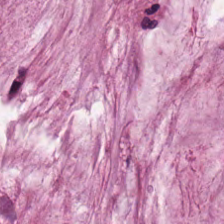224×224 pixel tile. H&E-stained tissue section — The predominant tissue is extracellular mucin.
